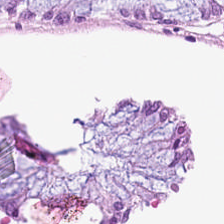The tissue is normal colonic mucosa.
